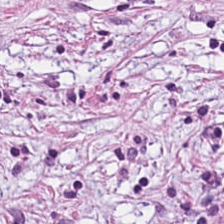Hematoxylin-and-eosin stained section · FFPE. Predominantly desmoplastic stroma.
